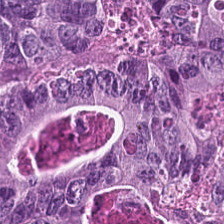Adenocarcinoma.
